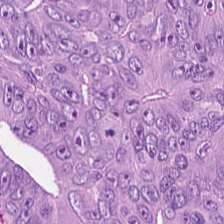FFPE tissue section. Hematoxylin and eosin.
This field is colorectal adenocarcinoma epithelium.
